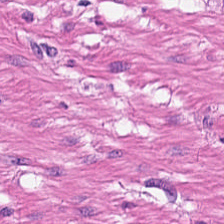H&E-stained tissue section. WSI patch. 224×224 px patch — This field is smooth-muscle tissue.
